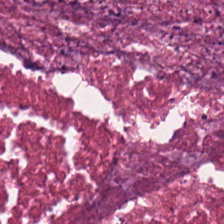Hematoxylin and eosin. Necrotic debris.
